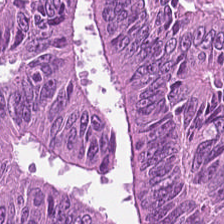Stain: H&E stain.
Acquisition: brightfield microscopy.
Tissue: tumor epithelium.
